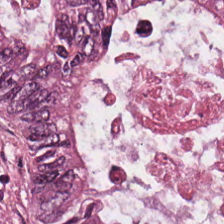0.5 µm/px. Hematoxylin-and-eosin stained section.
This field is malignant epithelium.
